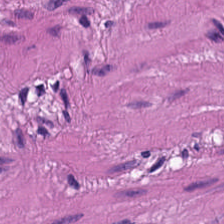H&E-stained tissue section — The tissue here is smooth muscle.
